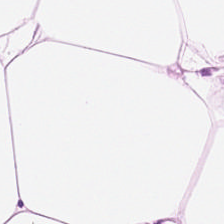H&E. Brightfield. Tissue class — adipose tissue.
